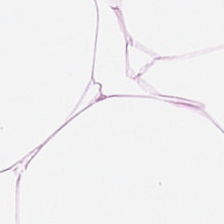Tissue class: fat tissue.
